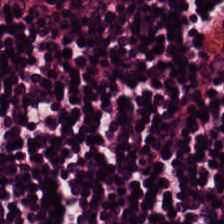Hematoxylin and eosin. Whole-slide-image patch. Q: What tissue is shown?
A: Lymphocytic infiltrate.
